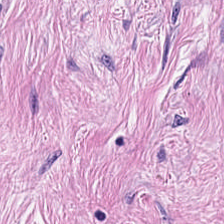Hematoxylin and eosin — Finding — desmoplastic stroma.
